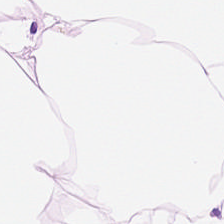Hematoxylin-and-eosin stained section. The predominant tissue is adipose.
